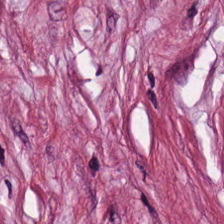H&E stain.
{"tissue_type": "tumor-associated stroma"}
